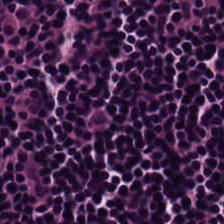{"tissue_type": "lymphoid infiltrate"}
